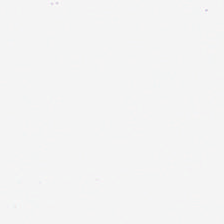224×224 px patch. H&E stain. This field is background (no tissue).
